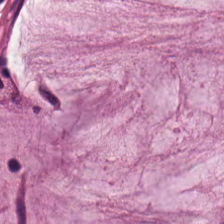Hematoxylin-and-eosin stained section — Q: What type of tissue is this?
A: Mucus.
